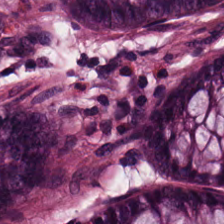H&E-stained section; the field shows normal colon mucosa.
